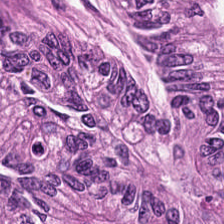H&E stain. 224×224 px patch — Q: What type of tissue is this?
A: It is adenocarcinoma.
